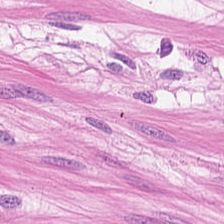The predominant tissue is muscularis.
